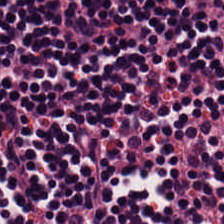Stain: H&E stain.
Tissue type: lymphocyte aggregate.
